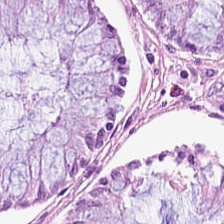224×224 px tile · hematoxylin and eosin.
The predominant tissue is normal colon mucosa.
